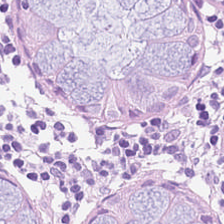0.5 µm per pixel · H&E stain · WSI patch — The predominant tissue is benign colonic mucosa.
